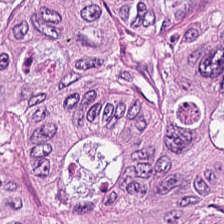Whole-slide-image patch · 0.5 µm/px · hematoxylin-and-eosin stained section.
Q: What does this patch show?
A: Adenocarcinoma.
